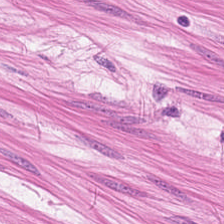H&E stain. This patch shows smooth muscle.
